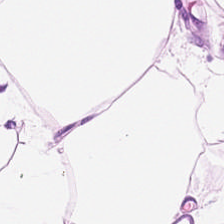{"tissue_type": "adipose tissue"}
